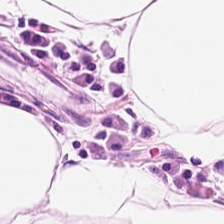Hematoxylin and eosin. Brightfield microscopy. The predominant tissue is adipose.
